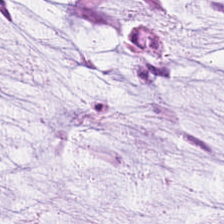H&E-stained tissue section.
Tissue type: mucin.
